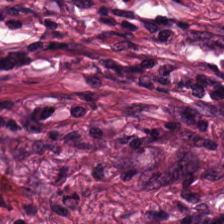Whole-slide-image patch · H&E stain — Tissue class — cancer-associated stroma.
